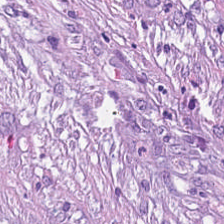Tissue type: tumor stroma.
